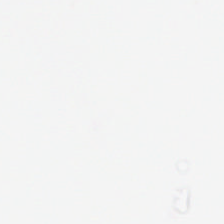FFPE tissue section; H&E-stained tissue section. Histology — background (no tissue).
